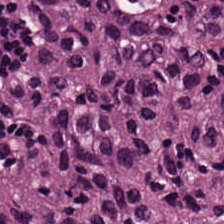Whole-slide-image patch · hematoxylin and eosin · FFPE tissue section. This patch shows malignant epithelium.
